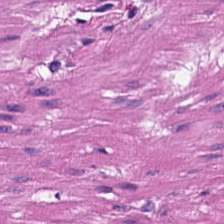Hematoxylin-and-eosin stained section.
Q: Classify this patch.
A: This is smooth muscle.
